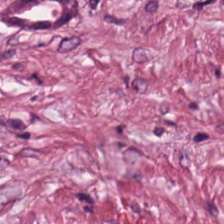Hematoxylin-and-eosin stained section · 0.5 µm per pixel.
The tissue here is tumor-associated stroma.
